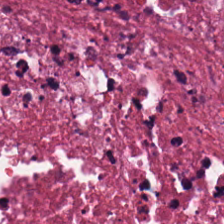H&E. The tissue here is necrotic debris.
